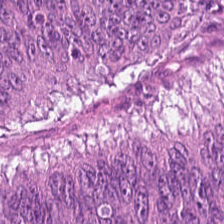Q: What type of tissue is this?
A: This is colorectal adenocarcinoma.
